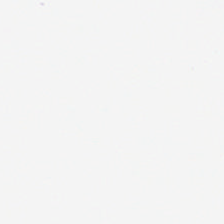Finding → background.
